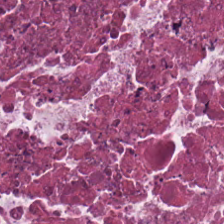H&E.
Histology → necrotic debris.
